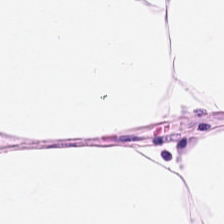Classification = adipocytes.
